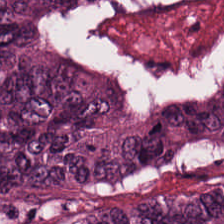This field is adenocarcinoma.
